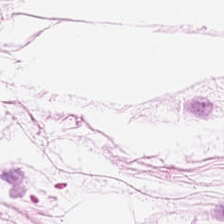Stain: H&E.
Classification: adipose tissue.
